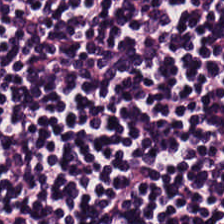H&E — Tissue type — lymphoid infiltrate.
